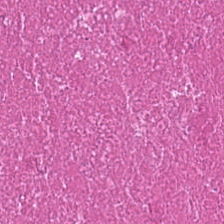H&E stain. 0.5 microns per pixel — Showing necrotic debris.
